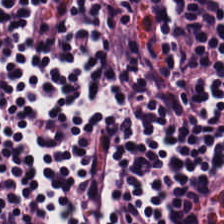H&E stain; 224×224 px patch.
Tissue: lymphocytes.
